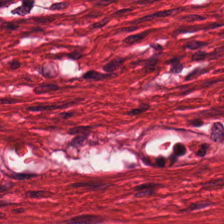H&E. 0.5 microns per pixel. WSI patch — Q: What is shown here?
A: This is smooth-muscle tissue.
